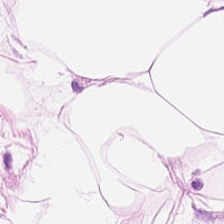Hematoxylin-and-eosin stained section. The tissue type is adipose tissue.
